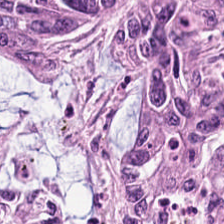FFPE · 224×224 px tile · H&E-stained tissue section. Q: What is the predominant tissue type?
A: Tumor epithelium.
